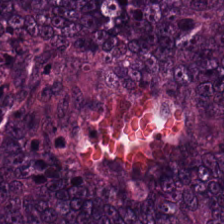Predominantly colorectal adenocarcinoma.
